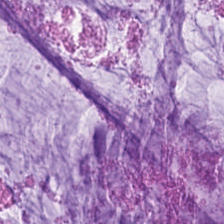Classification = mucus.
